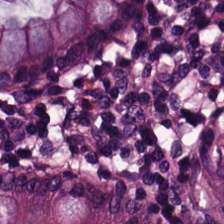Hematoxylin-and-eosin section: normal colon mucosa.
